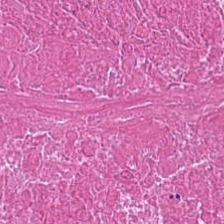Hematoxylin and eosin.
Q: What tissue is shown?
A: This is cellular debris.
